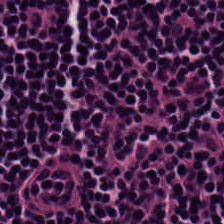Hematoxylin and eosin.
Tissue class: lymphocyte aggregate.
